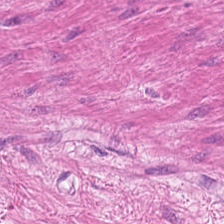FFPE tissue section. 224×224 pixel tile. H&E-stained tissue section.
Tissue type — muscularis.
